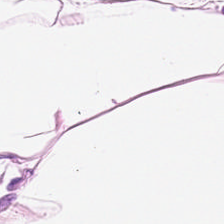Hematoxylin-and-eosin stained section — Q: Classify this patch.
A: The field shows adipose.
